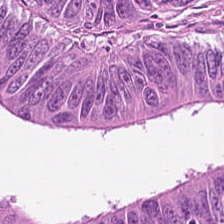The tissue here is adenocarcinoma.
